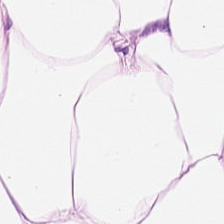Whole-slide-image patch. H&E. This field is adipocytes.
